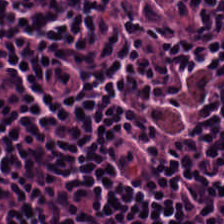H&E-stained tissue section · formalin-fixed paraffin-embedded section.
Q: What does this patch show?
A: It is lymphocytes.
